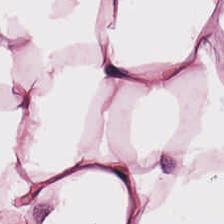H&E-stained tissue section showing adipose.
